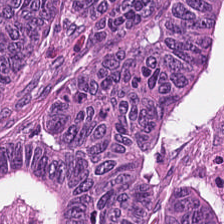H&E.
{"tissue_type": "tumor epithelium"}
